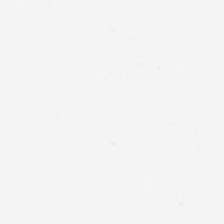0.5 microns per pixel · H&E · FFPE.
Classification: background.
